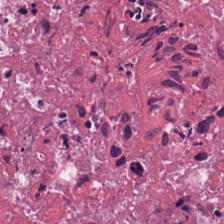Predominant tissue: necrotic debris.
